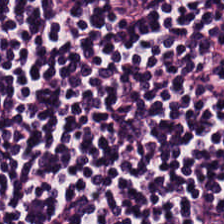Hematoxylin-and-eosin stained section · brightfield microscopy.
Lymphocytic infiltrate.
